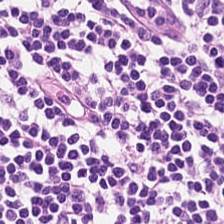H&E; FFPE tissue section.
Tissue type: lymphocytes.
